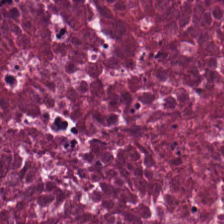0.5 µm/px. H&E-stained tissue section — This field is cellular debris.
